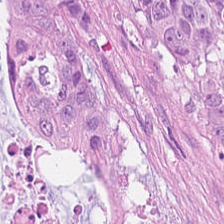H&E-stained tissue section — This patch shows colorectal adenocarcinoma epithelium.
